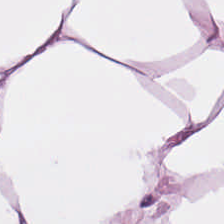Stain: H&E stain.
Acquisition: WSI patch.
Tile size: 224×224 px tile.
Tissue: adipose.
